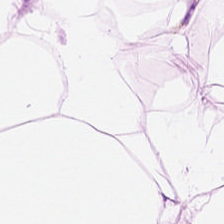H&E stain. Impression → fat tissue.
